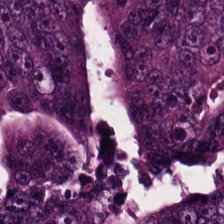H&E stain.
Q: What type of tissue is this?
A: The field shows malignant epithelium.
